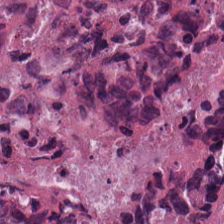Hematoxylin-and-eosin stained section — Q: What tissue is shown?
A: Debris.
